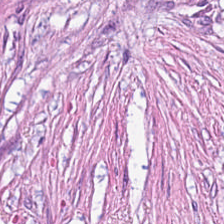H&E stain. The predominant tissue is desmoplastic stroma.
